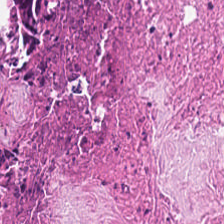H&E-stained tissue section — This patch shows debris.
